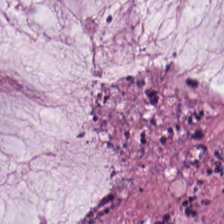224×224 px tile · H&E stain · 0.5 microns per pixel — Tissue — extracellular mucin.
